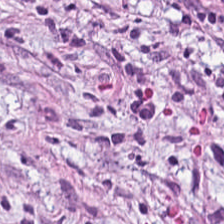H&E stain. The predominant tissue is tumor stroma.
